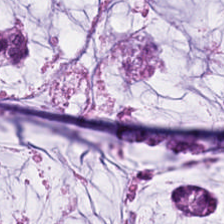Extracellular mucin.
